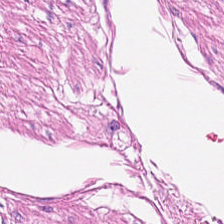20× equivalent magnification; hematoxylin-and-eosin stained section — The tissue class is smooth muscle.
